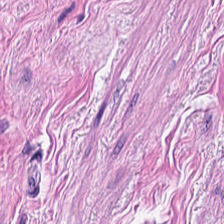H&E-stained tissue section · 0.5 µm/px · FFPE — Classification — muscularis.
